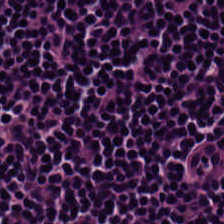Brightfield microscopy · 20× equivalent magnification · hematoxylin-and-eosin stained section. {"tissue_type": "lymphocyte aggregate"}
